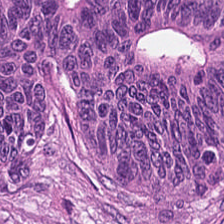Q: What tissue type is shown here?
A: It is colorectal adenocarcinoma.
